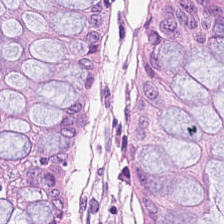H&E. 20× equivalent magnification.
The tissue here is benign colonic mucosa.
